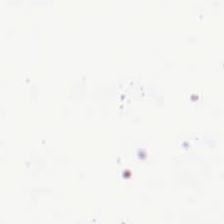Hematoxylin and eosin.
Background — no tissue in this field.
